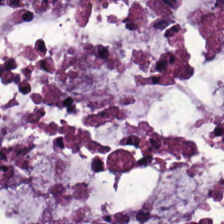Brightfield; formalin-fixed paraffin-embedded section; H&E.
Impression — mucin.
